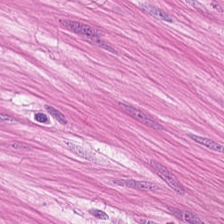Q: What is shown in this field?
A: Muscularis.
